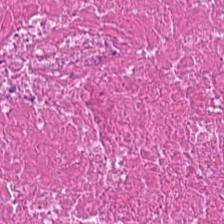Hematoxylin and eosin — Q: Classify this patch.
A: Necrotic debris.
